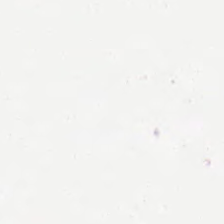No tissue present; background only.
